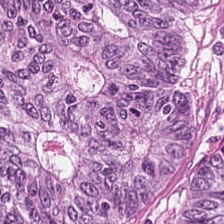H&E-stained tissue section.
Predominant tissue = colorectal adenocarcinoma epithelium.
